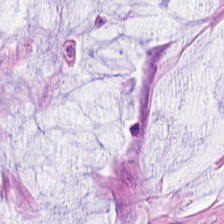Q: What is shown here?
A: The field shows mucus.
